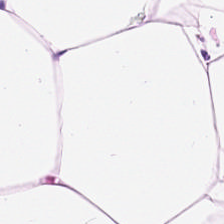Stain: hematoxylin and eosin.
Tile size: 224×224 pixel tile.
Classification: adipose.
